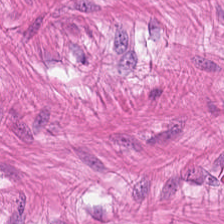H&E-stained tissue section. Predominant tissue — smooth-muscle tissue.
